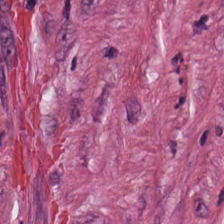H&E-stained tissue section — Tissue class — desmoplastic stroma.
